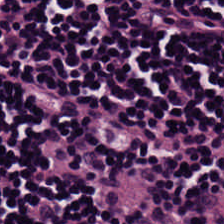224×224 px patch. H&E — Classification — lymphocytic infiltrate.
